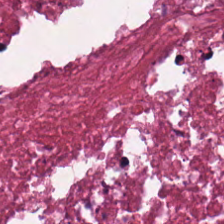Predominantly necrotic debris.
